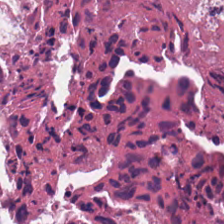H&E stain. Predominantly necrotic debris.
